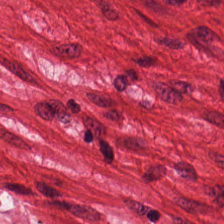H&E-stained tissue section; 224×224 px patch — The predominant tissue is smooth-muscle tissue.
